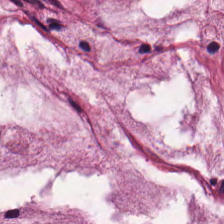0.5 µm per pixel · hematoxylin and eosin — The tissue here is extracellular mucin.
